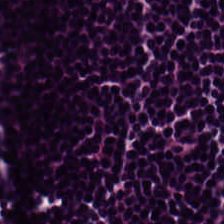Stain: H&E.
Predominant tissue: lymphocytic infiltrate.
